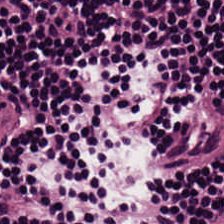Formalin-fixed paraffin-embedded section · H&E · 224×224 px tile — Histology → lymphocytic infiltrate.
